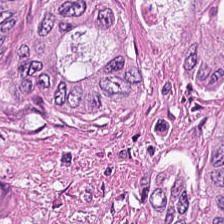Q: What tissue is shown?
A: It is adenocarcinoma.
